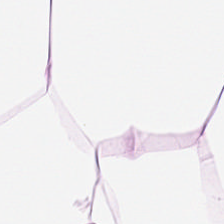Hematoxylin and eosin. This field is adipocytes.
